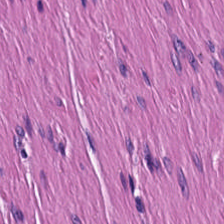Hematoxylin-and-eosin stained section · FFPE · brightfield — Tissue type = smooth muscle.
